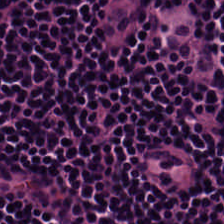Stain: H&E.
Tissue type: lymphoid infiltrate.
